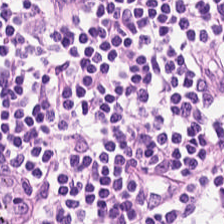Hematoxylin-and-eosin stained section.
This field is lymphoid infiltrate.
